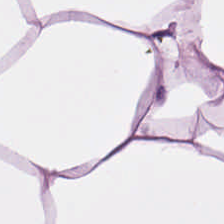H&E · WSI patch · 0.5 µm per pixel — Tissue type = adipose tissue.
